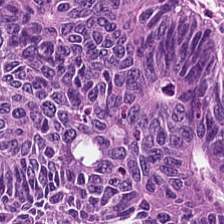H&E-stained tissue section; FFPE; WSI patch.
The tissue is tumor epithelium.
